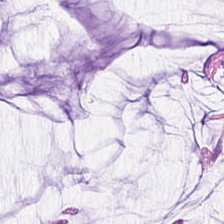224×224 pixel tile · hematoxylin-and-eosin stained section.
This patch shows mucin.
